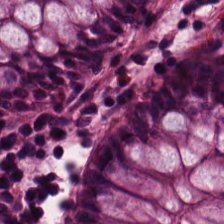H&E. 224×224 px tile — This field is normal colonic mucosa.
